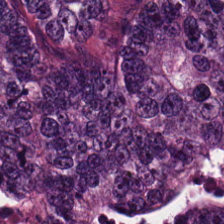Stain: H&E.
Predominant tissue: colorectal adenocarcinoma.
